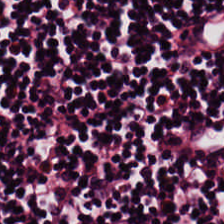Stain: H&E.
Acquisition: brightfield microscopy.
Predominant tissue: lymphocytic infiltrate.
